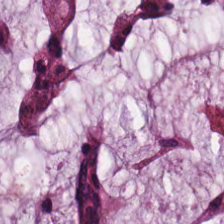H&E stain. Q: Identify the tissue.
A: This is mucus.
